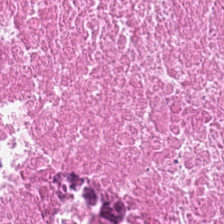H&E stain; 0.5 µm/px. Showing debris.
